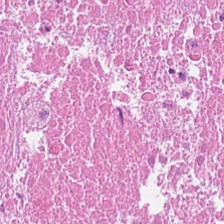H&E stain. Predominant tissue = cellular debris.
